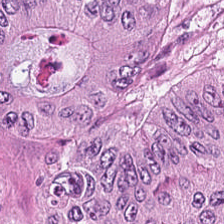H&E.
Histology — malignant epithelium.
